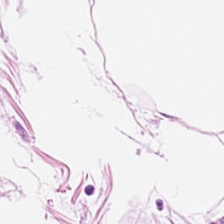H&E-stained tissue section · 0.5 µm per pixel.
Classification = adipocytes.
